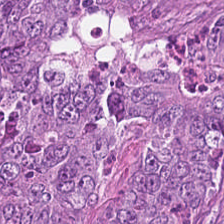Whole-slide-image patch · hematoxylin-and-eosin stained section · 0.5 µm per pixel.
Histology → colorectal adenocarcinoma epithelium.
